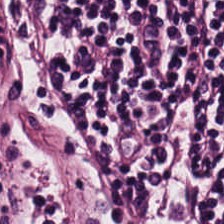The tissue class is lymphocyte aggregate.
